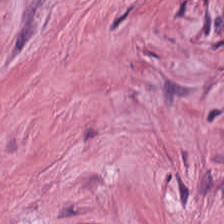Impression — tumor stroma.
